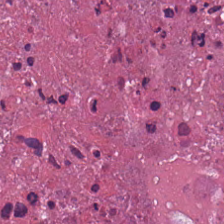H&E stain. Brightfield microscopy. 224×224 px patch — Q: What is shown here?
A: This is debris.
